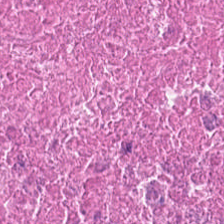Hematoxylin-and-eosin stained section. 224×224 px tile — {"tissue_type": "cellular debris"}
